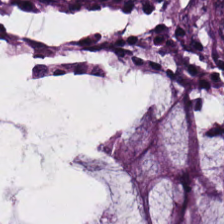FFPE. Hematoxylin-and-eosin stained section — Tissue = normal colonic mucosa.
